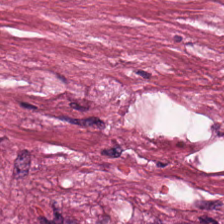H&E-stained section; the field shows necrotic debris.
